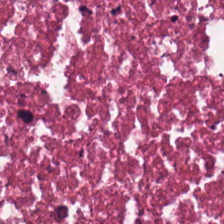224×224 px tile; H&E-stained tissue section; 0.5 µm/px — Predominantly cellular debris.
